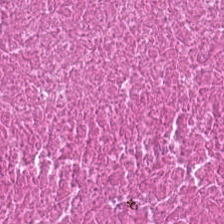H&E stain.
Q: What tissue is shown?
A: This is cellular debris.
